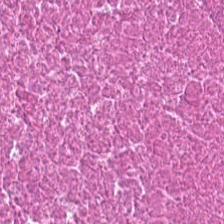H&E.
The tissue type is necrotic debris.
